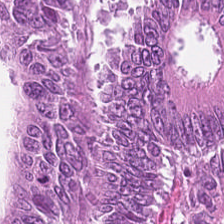Hematoxylin and eosin.
Showing colorectal adenocarcinoma.
